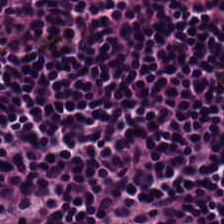Hematoxylin-and-eosin section: lymphoid infiltrate.
